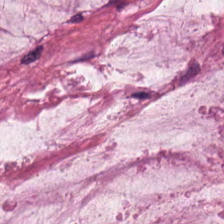Stain: H&E stain.
Classification: mucus.
